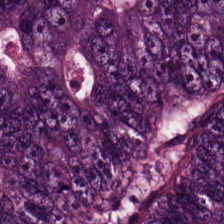Hematoxylin-and-eosin section: colorectal adenocarcinoma epithelium.
